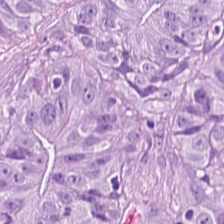H&E-stained tissue section — Colorectal adenocarcinoma epithelium.
